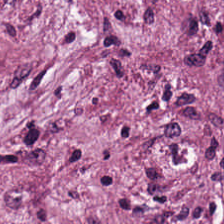H&E-stained tissue section — Tissue class — tumor-associated stroma.
